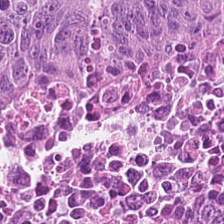H&E-stained section; the field shows malignant epithelium.
